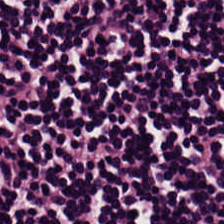H&E-stained tissue section.
This field is lymphocytes.
